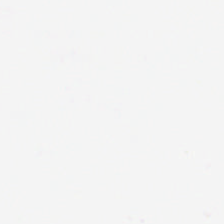H&E stain — Background — no tissue in this field.
